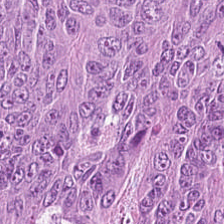H&E. FFPE tissue section. Adenocarcinoma.
